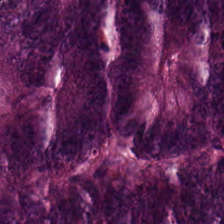Hematoxylin and eosin — Finding → tumor epithelium.
